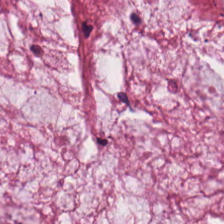This patch shows extracellular mucin.
